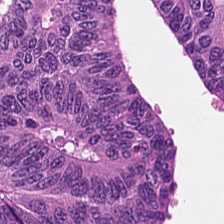WSI patch. H&E.
Colorectal adenocarcinoma.
